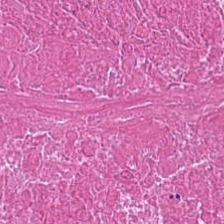Hematoxylin and eosin · 20× equivalent magnification. {"tissue_type": "necrotic debris"}
